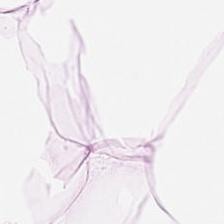0.5 µm/px · H&E-stained tissue section · FFPE. This patch shows adipose tissue.
